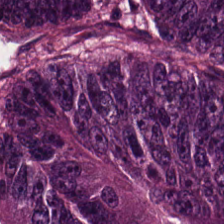Formalin-fixed paraffin-embedded section; H&E-stained tissue section.
Impression — malignant epithelium.
